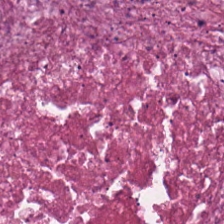Formalin-fixed paraffin-embedded section; 224×224 px tile; H&E-stained tissue section. Predominantly necrotic debris.
